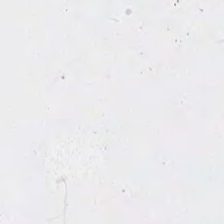Finding → background (no tissue).
